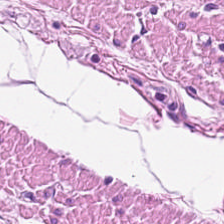Stain: hematoxylin-and-eosin stained section.
Tile size: 224×224 px patch.
Tissue type: smooth muscle.
